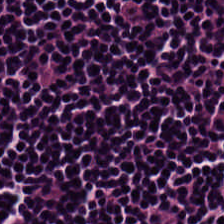H&E — Histology → lymphocytes.
